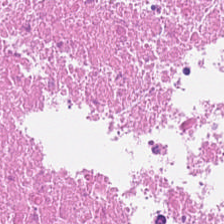The tissue here is debris.
